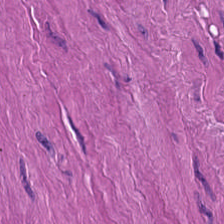Stain: H&E stain.
Predominant tissue: muscularis.
